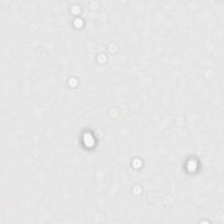Hematoxylin and eosin — Q: What is shown in this field?
A: The field shows background (no tissue).
